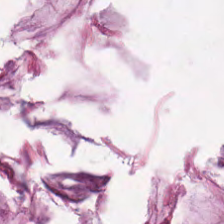Hematoxylin and eosin. The tissue is mucus.
